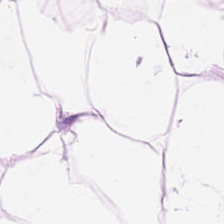H&E-stained section; the field shows fat tissue.
